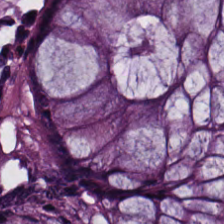Hematoxylin and eosin; 0.5 microns per pixel; 224×224 pixel tile. Showing non-neoplastic colon mucosa.
